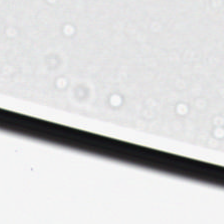224×224 pixel tile; hematoxylin and eosin — Field content — no tissue.
